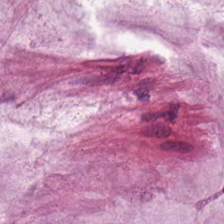Hematoxylin-and-eosin stained section.
Q: What tissue type is shown here?
A: It is mucin.
